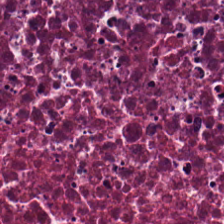H&E-stained tissue section — Q: What is shown in this field?
A: This is debris.
